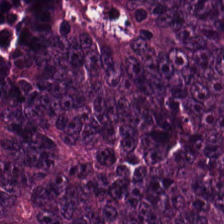H&E-stained tissue section showing malignant epithelium.
